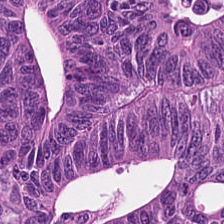H&E stain; 0.5 µm/px; brightfield — {"tissue_type": "tumor epithelium"}
